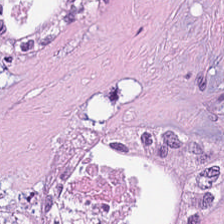H&E stain. 0.5 µm per pixel. {"tissue_type": "debris"}
